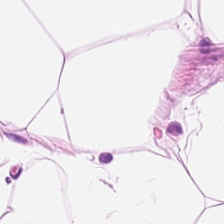Stain: hematoxylin and eosin.
Tissue: adipose.
